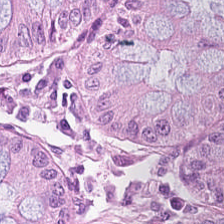Stain: hematoxylin and eosin.
Tissue: normal colonic mucosa.
